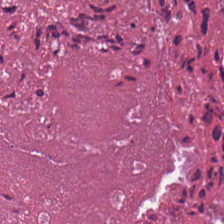Stain: H&E-stained tissue section.
Resolution: 0.5 microns per pixel.
Tissue type: cellular debris.
